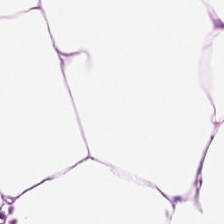Hematoxylin-and-eosin stained section — Q: What is shown in this field?
A: The field shows adipocytes.
